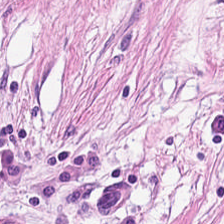H&E-stained tissue section — Tissue class: desmoplastic stroma.
